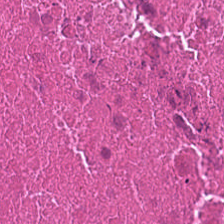Hematoxylin and eosin — Tissue — cellular debris.
